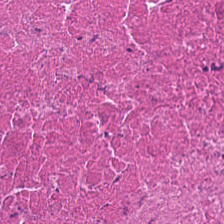Hematoxylin and eosin. Classification — necrotic debris.
